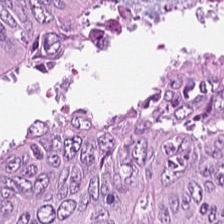FFPE; brightfield microscopy; H&E stain. Impression → malignant epithelium.
